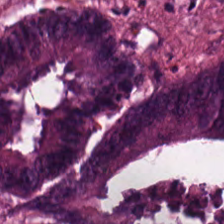H&E; 0.5 µm/px. Predominantly tumor epithelium.
